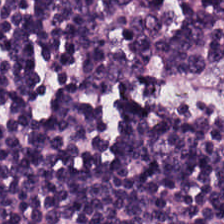Impression — lymphocyte aggregate.
